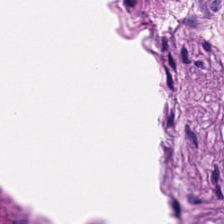Hematoxylin-and-eosin section: smooth muscle.
